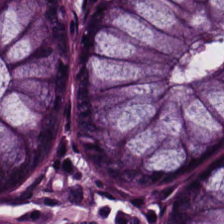H&E. 0.5 microns per pixel. Predominantly normal colonic mucosa.
